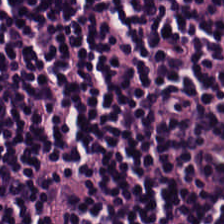H&E.
The tissue class is lymphocytic infiltrate.
